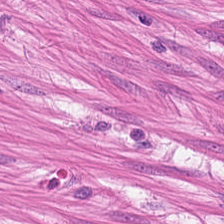H&E-stained tissue section. This patch shows smooth-muscle tissue.
